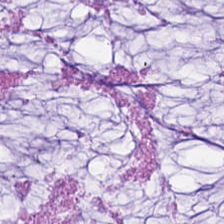Hematoxylin and eosin.
This patch shows mucus.
